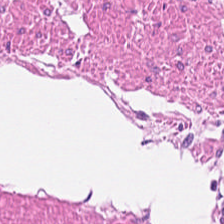H&E stain. Muscularis.
